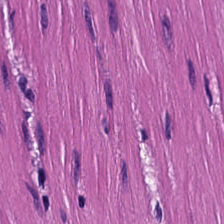Q: What is the predominant tissue type?
A: It is muscularis.
